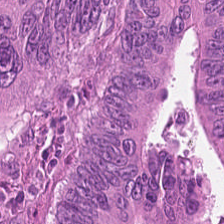Finding → malignant epithelium.
